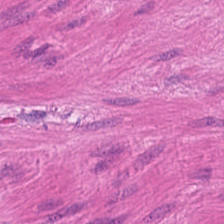Hematoxylin and eosin · formalin-fixed paraffin-embedded section.
Predominantly smooth-muscle tissue.
